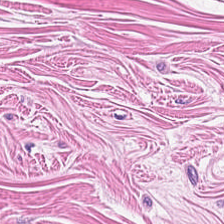Tissue type: smooth muscle.
